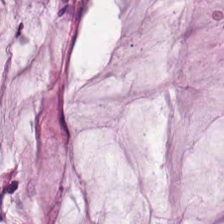224×224 pixel tile · H&E-stained tissue section.
This field is mucin.
